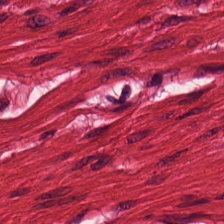Tissue type: muscularis.
